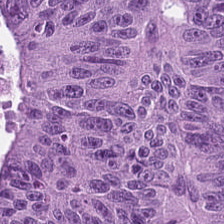Histology — malignant epithelium.
